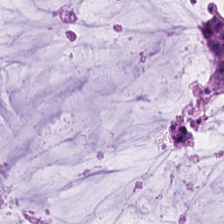Whole-slide-image patch · hematoxylin and eosin.
{"tissue_type": "extracellular mucin"}
